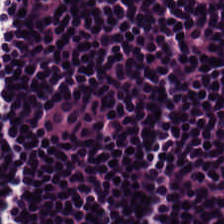H&E-stained tissue section. Predominantly lymphocyte aggregate.
